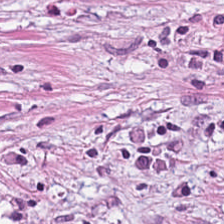H&E — This patch shows tumor stroma.
